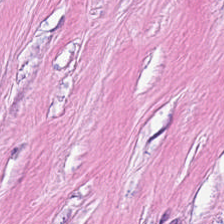H&E — tumor stroma.
